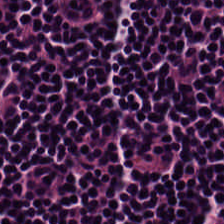Hematoxylin-and-eosin stained section; 224×224 px tile. The tissue type is lymphocyte aggregate.
